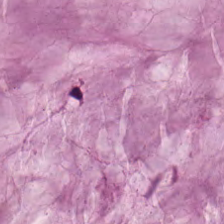Stain: hematoxylin and eosin.
Preparation: FFPE.
Tissue: mucus.
